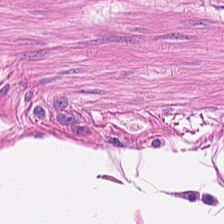Stain: hematoxylin-and-eosin stained section.
Tile size: 224×224 px tile.
Resolution: 0.5 µm per pixel.
Tissue: muscularis.
